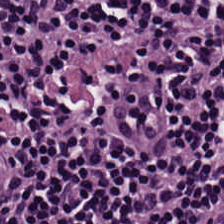Brightfield microscopy; hematoxylin and eosin — Histology — lymphocytic infiltrate.
